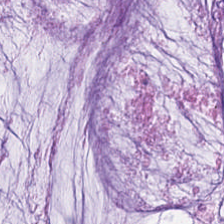0.5 µm per pixel. H&E-stained tissue section — Predominant tissue = mucin.
